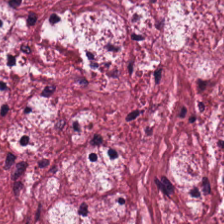Stain: H&E.
Resolution: 0.5 µm/px.
Preparation: FFPE tissue section.
Tissue type: tumor stroma.
